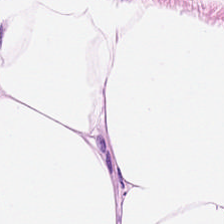Hematoxylin and eosin — Tissue — adipose.
